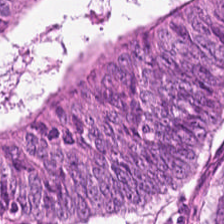FFPE; H&E stain.
Adenocarcinoma.
